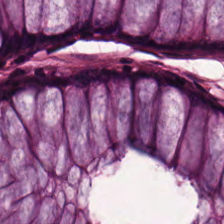Hematoxylin-and-eosin stained section.
The predominant tissue is benign colonic mucosa.
